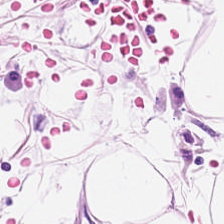Tissue: fat tissue.
